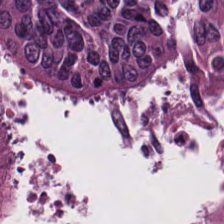Stain: H&E stain.
Tile size: 224×224 px patch.
Tissue: tumor epithelium.
